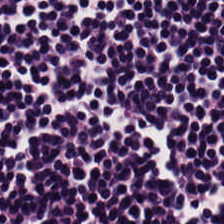H&E-stained tissue section.
Showing lymphoid infiltrate.
